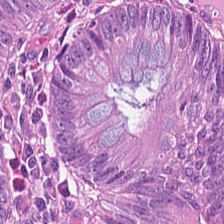The tissue here is colorectal adenocarcinoma.
